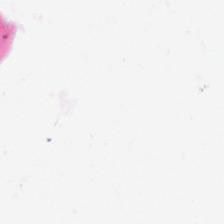0.5 µm per pixel · hematoxylin and eosin — Background — no tissue in this field.
